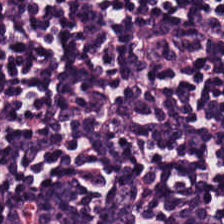Stain: H&E.
Resolution: 0.5 microns per pixel.
Predominant tissue: lymphocytic infiltrate.
